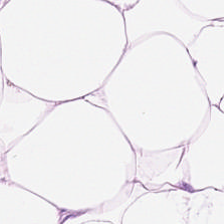Hematoxylin-and-eosin stained section — Tissue class: adipocytes.
